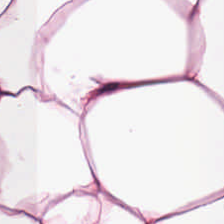0.5 µm per pixel · 224×224 px tile · hematoxylin-and-eosin stained section — Predominantly adipose tissue.
